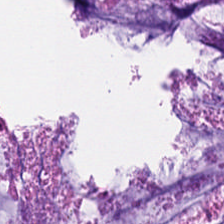224×224 px patch · formalin-fixed paraffin-embedded section · H&E — Q: What is the predominant tissue type?
A: It is mucin.
